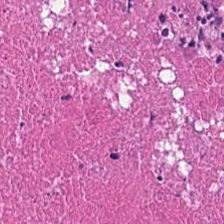H&E stain. Necrotic debris.
